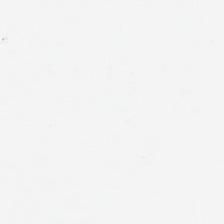No tissue present; background only.
